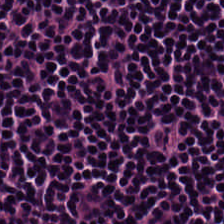The tissue is lymphoid infiltrate.
